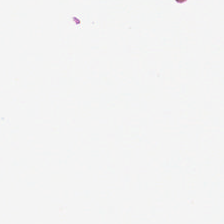20× equivalent magnification. H&E. FFPE. Content: no tissue.
